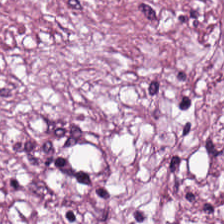Hematoxylin and eosin.
Finding → tumor stroma.
